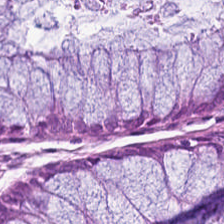Whole-slide-image patch. 224×224 px patch. H&E stain.
Showing benign colonic mucosa.
